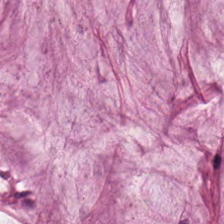H&E-stained tissue section · FFPE tissue section · 224×224 pixel tile.
This patch shows extracellular mucin.
